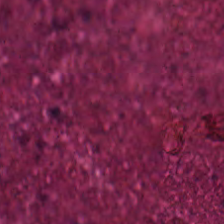H&E. Q: What is shown in this field?
A: It is cellular debris.
